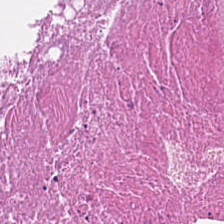FFPE tissue section; WSI patch; H&E-stained tissue section. Showing debris.
